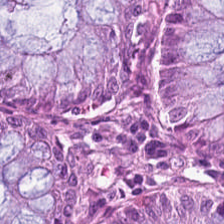224×224 px patch. H&E. 20× equivalent magnification — Q: What is the predominant tissue type?
A: This is normal colon mucosa.
